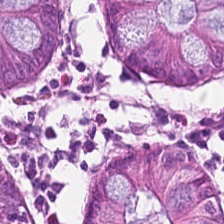Tissue type — non-neoplastic colon mucosa.
